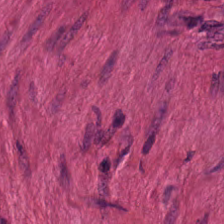Q: What type of tissue is this?
A: This is muscularis.
